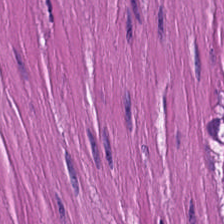Tissue class = smooth-muscle tissue.
